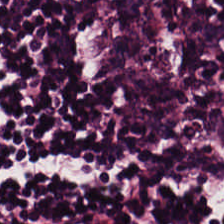Hematoxylin-and-eosin stained section. Q: What tissue type is shown here?
A: It is lymphocyte aggregate.
